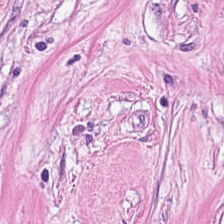Hematoxylin and eosin.
The predominant tissue is desmoplastic stroma.
